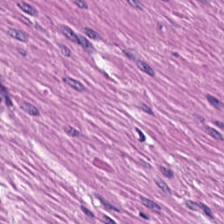H&E stain — Q: What tissue type is shown here?
A: It is muscularis.
